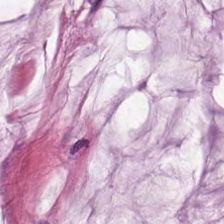WSI patch; hematoxylin-and-eosin stained section. Predominantly extracellular mucin.
